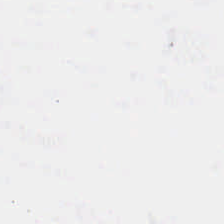H&E-stained tissue section.
Histology — background.
